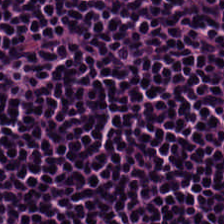Hematoxylin-and-eosin stained section. Tissue — lymphocytes.
